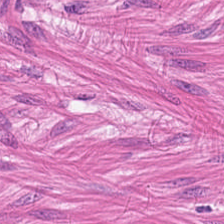Whole-slide-image patch. H&E. 0.5 µm per pixel. Tissue class: smooth muscle.
